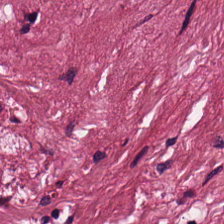0.5 µm per pixel; H&E-stained tissue section. Finding — cancer-associated stroma.
